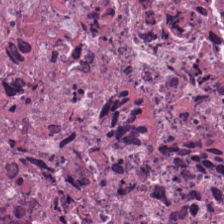H&E.
This patch shows cellular debris.
